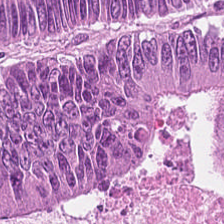H&E patch showing colorectal adenocarcinoma.
